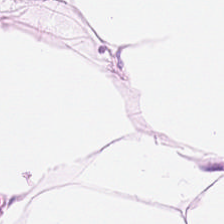Hematoxylin-and-eosin stained section; FFPE tissue section; brightfield. The predominant tissue is adipose.
